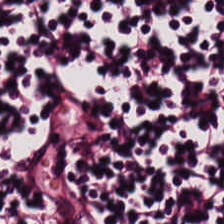H&E stain.
Classification — lymphoid infiltrate.
